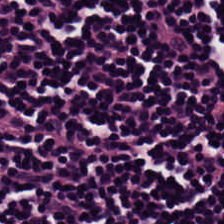Showing lymphocytic infiltrate.
